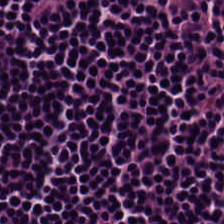H&E stain. Tissue class = lymphocytes.
